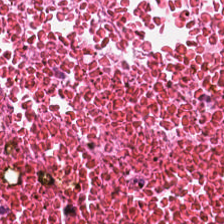Stain: H&E stain.
Classification: necrotic debris.
